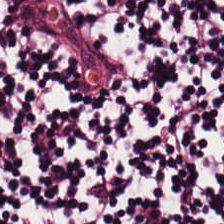Lymphocytic infiltrate.
